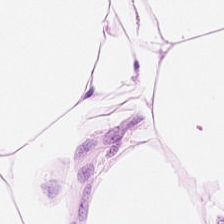H&E-stained tissue section. Histology → adipocytes.
